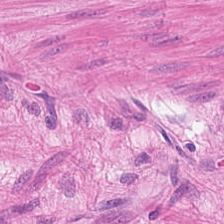0.5 µm/px; WSI patch; H&E stain — This patch shows smooth muscle.
